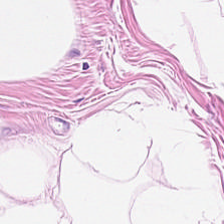H&E-stained tissue section. Q: What is shown here?
A: The field shows fat tissue.
